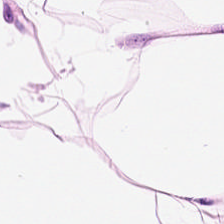H&E stain; 224×224 px tile. This patch shows fat tissue.
